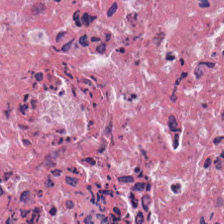H&E-stained tissue section — Tissue type — cellular debris.
